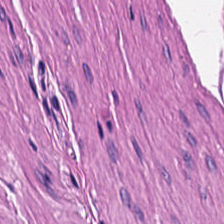Stain: hematoxylin and eosin.
Acquisition: brightfield.
Tissue: smooth-muscle tissue.
